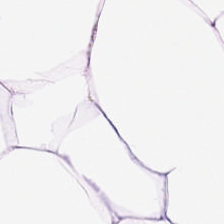Stain: hematoxylin and eosin.
Classification: adipose.
